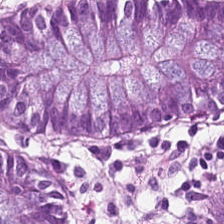The predominant tissue is normal colon mucosa.
